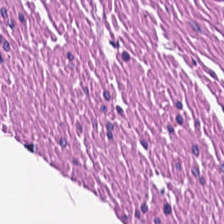Hematoxylin-and-eosin stained section. Impression — muscularis.
